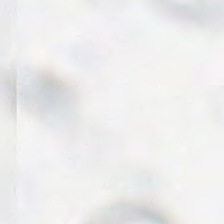Histology — empty background.
